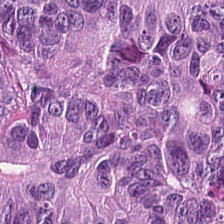H&E — adenocarcinoma.
